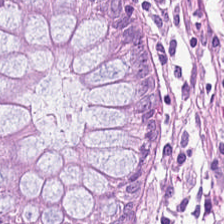H&E-stained tissue section.
The classification is normal colon mucosa.
